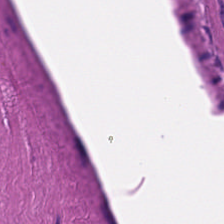Hematoxylin-and-eosin stained section; formalin-fixed paraffin-embedded section. The predominant tissue is smooth muscle.
